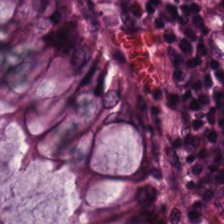Stain: H&E-stained tissue section.
Tile size: 224×224 pixel tile.
Acquisition: WSI patch.
Predominant tissue: normal colonic mucosa.
